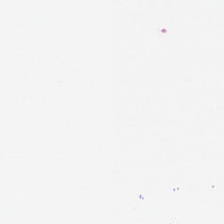0.5 µm per pixel. H&E-stained tissue section.
Finding → empty background.
